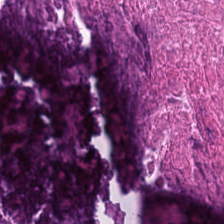The tissue type is necrotic debris.
